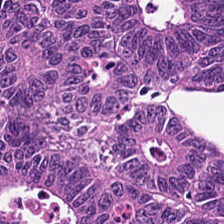FFPE tissue section; 0.5 microns per pixel; H&E-stained tissue section — Q: What tissue is shown?
A: The field shows colorectal adenocarcinoma epithelium.
